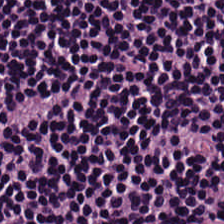H&E-stained tissue section. 224×224 px tile. 0.5 microns per pixel. Tissue: lymphocytic infiltrate.
